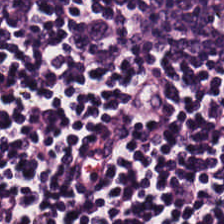H&E stain. 224×224 px patch. FFPE tissue section — Showing lymphocyte aggregate.
